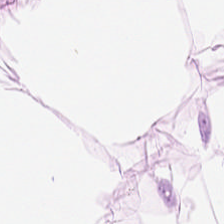Hematoxylin-and-eosin stained section — Q: What is the predominant tissue type?
A: It is fat tissue.
